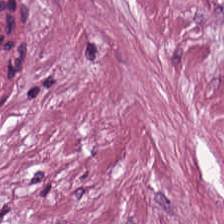H&E; 224×224 px tile — Tissue — tumor stroma.
